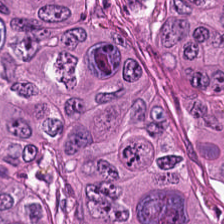The tissue here is colorectal adenocarcinoma.
